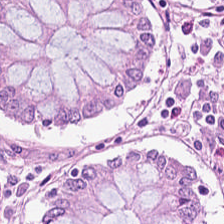Formalin-fixed paraffin-embedded section · H&E — Tissue class — normal colonic mucosa.
